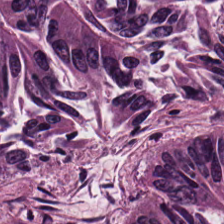H&E stain. Q: Classify this patch.
A: Adenocarcinoma.
